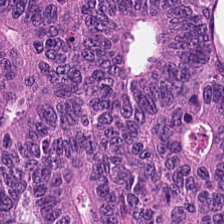Stain: hematoxylin-and-eosin stained section.
Classification: colorectal adenocarcinoma epithelium.
